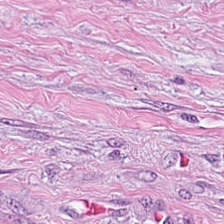H&E — The predominant tissue is tumor stroma.
